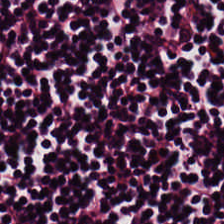FFPE tissue section. 224×224 px patch. H&E-stained tissue section.
Finding → lymphocytes.
